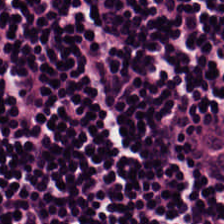Hematoxylin and eosin; WSI patch.
Impression → lymphocyte aggregate.
